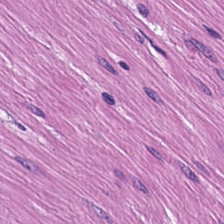The tissue is muscularis.
